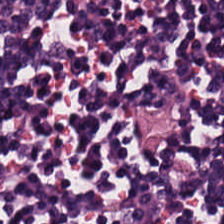Brightfield; 0.5 microns per pixel; H&E — Tissue type: lymphocytes.
